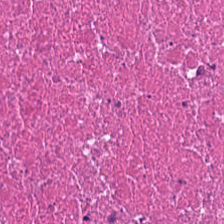Hematoxylin-and-eosin stained section. Classification — necrotic debris.
